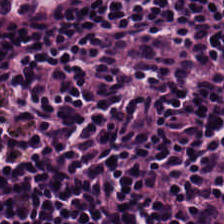H&E. 224×224 px patch. The tissue here is lymphocyte aggregate.
